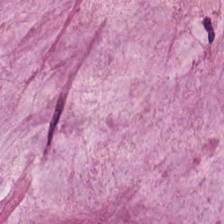Histology → mucus.
